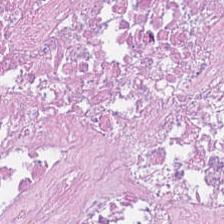H&E-stained tissue section. The tissue here is cellular debris.
